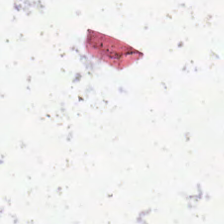0.5 microns per pixel. H&E stain — Impression → background (no tissue).
